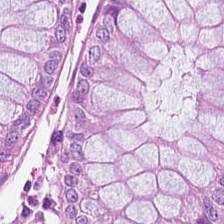Stain: H&E stain.
Tissue: normal colon mucosa.
